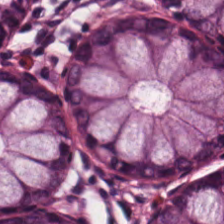H&E-stained tissue section. 0.5 µm per pixel — Q: What tissue type is shown here?
A: This is benign colonic mucosa.
